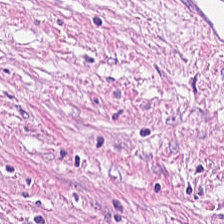Hematoxylin-and-eosin stained section — The classification is tumor-associated stroma.
